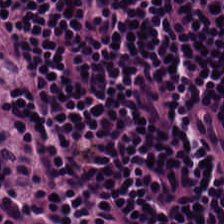Whole-slide-image patch; H&E — Histology — lymphocytic infiltrate.
